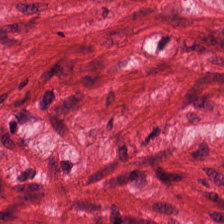FFPE tissue section · 224×224 px tile · hematoxylin and eosin.
The predominant tissue is muscularis.
